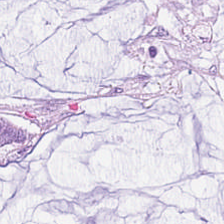Hematoxylin-and-eosin stained section. Impression — extracellular mucin.
